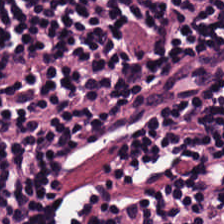Hematoxylin and eosin · formalin-fixed paraffin-embedded section · 224×224 pixel tile.
Showing lymphocytic infiltrate.
